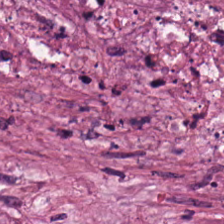Hematoxylin-and-eosin stained section.
Tissue — cellular debris.
